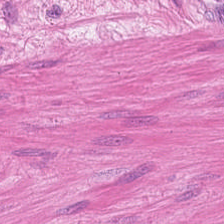This patch shows smooth muscle.
